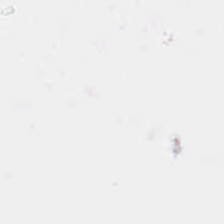WSI patch; hematoxylin-and-eosin stained section. Classification: empty background.
